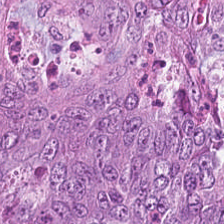H&E.
Showing tumor epithelium.
